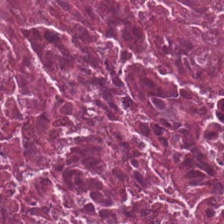Hematoxylin-and-eosin section: cellular debris.
